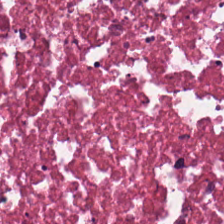H&E · 224×224 pixel tile. Q: What tissue type is shown here?
A: This is debris.
